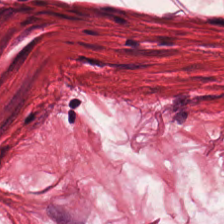Classification — smooth muscle.
